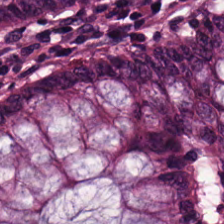Hematoxylin and eosin. This field is benign colonic mucosa.
